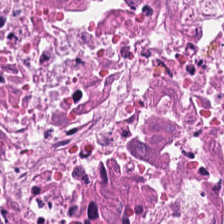H&E-stained tissue section.
Q: What type of tissue is this?
A: Necrotic debris.
